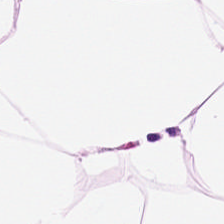Tissue type = adipose.
